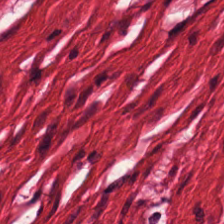Predominant tissue — smooth-muscle tissue.
